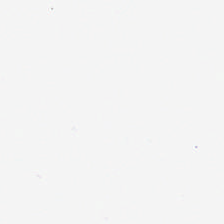H&E. Content = background (no tissue).
